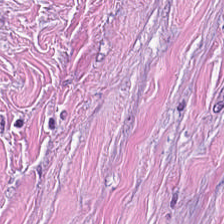H&E. The tissue is tumor-associated stroma.
